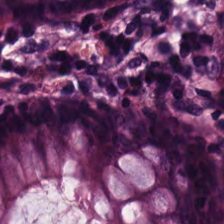Hematoxylin-and-eosin stained section; WSI patch.
{"tissue_type": "normal colon mucosa"}
